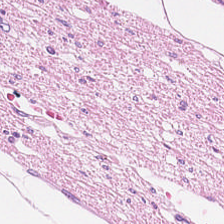H&E-stained tissue section · 0.5 µm per pixel.
Showing smooth-muscle tissue.
